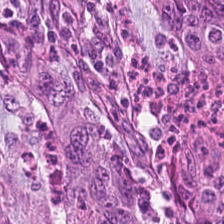Formalin-fixed paraffin-embedded section · 224×224 px tile · hematoxylin and eosin — Tissue type = malignant epithelium.
